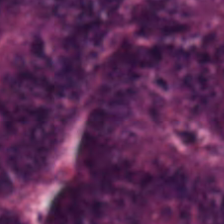Hematoxylin and eosin · FFPE tissue section. The predominant tissue is adenocarcinoma.
